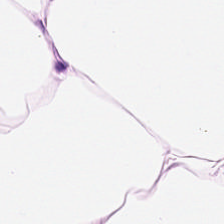224×224 px tile; 0.5 microns per pixel; H&E-stained tissue section.
Finding → fat tissue.
